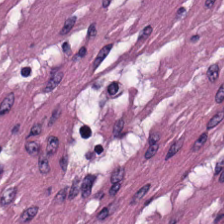H&E-stained tissue section.
The tissue class is muscularis.
